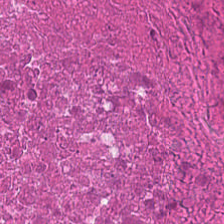Q: What type of tissue is this?
A: Debris.
